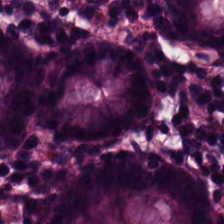224×224 px tile · H&E-stained tissue section.
This patch shows non-neoplastic colon mucosa.
